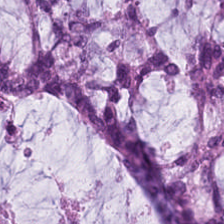H&E stain; 0.5 µm/px — Predominantly mucin.
